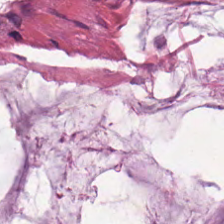Showing mucin.
